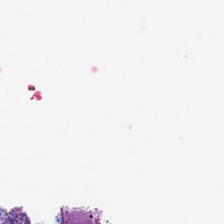Brightfield; hematoxylin-and-eosin stained section. {"content": "no tissue"}
